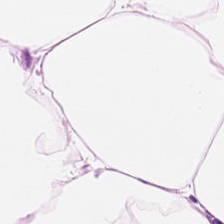Hematoxylin and eosin · 0.5 µm per pixel · FFPE.
Q: Classify this patch.
A: It is adipocytes.
